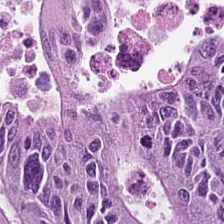Stain: hematoxylin-and-eosin stained section.
Tissue type: tumor epithelium.
